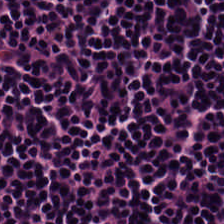Showing lymphocytic infiltrate.
